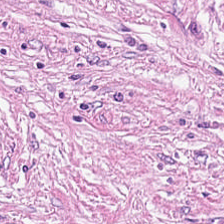20× equivalent magnification. Whole-slide-image patch. H&E. {"tissue_type": "cancer-associated stroma"}
